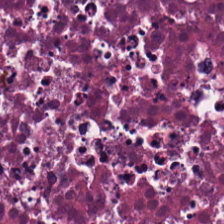H&E. 224×224 px patch. FFPE tissue section — Q: What is the predominant tissue type?
A: Debris.
